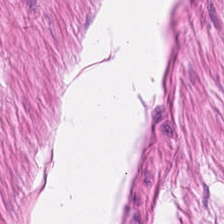This patch shows smooth-muscle tissue.
